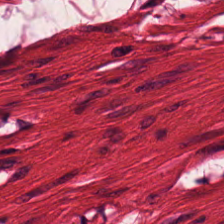Stain: hematoxylin-and-eosin stained section.
Resolution: 0.5 µm per pixel.
Tissue class: smooth-muscle tissue.
